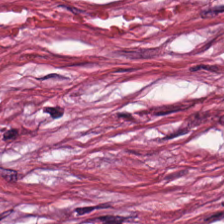H&E stain · FFPE · 0.5 microns per pixel.
Finding → cancer-associated stroma.
